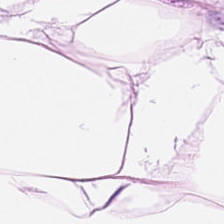WSI patch. 0.5 µm/px. Hematoxylin-and-eosin stained section.
Finding → fat tissue.
